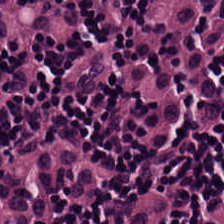H&E-stained tissue section.
Tissue type: lymphoid infiltrate.
